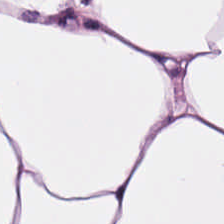Hematoxylin-and-eosin stained section. Histology → adipose tissue.
